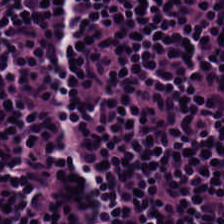H&E.
This patch shows lymphocytes.
